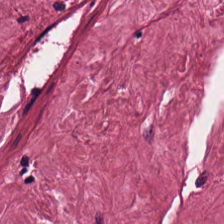H&E stain. Histology — tumor-associated stroma.
